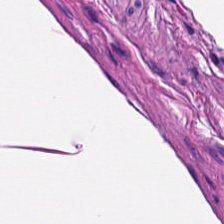224×224 pixel tile. Whole-slide-image patch. H&E. Predominantly smooth-muscle tissue.
